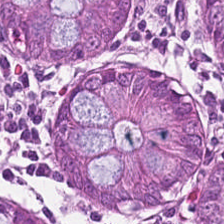Hematoxylin-and-eosin section: normal colonic mucosa.
